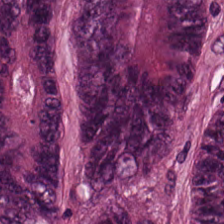Formalin-fixed paraffin-embedded section; hematoxylin and eosin.
This patch shows adenocarcinoma.
